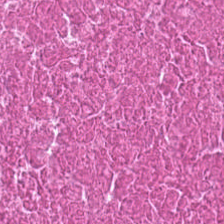H&E-stained section; the field shows necrotic debris.
